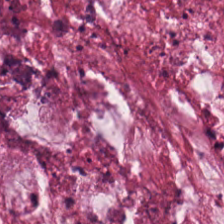Hematoxylin and eosin.
Predominant tissue — mucus.
